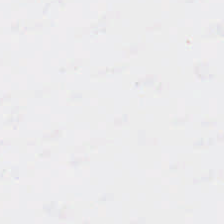This patch shows background (no tissue).
